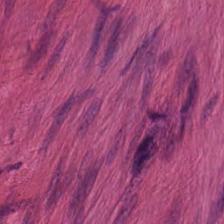H&E — Classification: muscularis.
